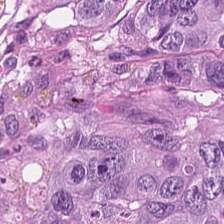224×224 px patch; hematoxylin-and-eosin stained section; brightfield.
The predominant tissue is colorectal adenocarcinoma epithelium.
